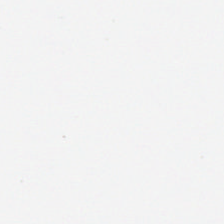H&E stain; 0.5 µm/px.
No tissue present; background only.
